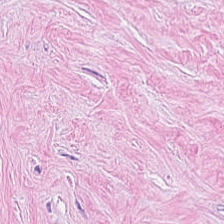20× equivalent magnification. Formalin-fixed paraffin-embedded section. Hematoxylin-and-eosin stained section.
This field is tumor-associated stroma.
